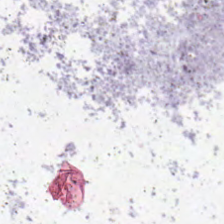H&E. Q: What is shown here?
A: The field shows empty background.
